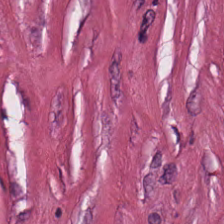Classification = cancer-associated stroma.
